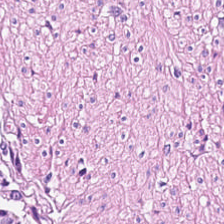Predominant tissue = smooth-muscle tissue.
